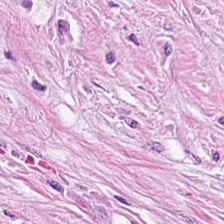Hematoxylin-and-eosin stained section; 224×224 pixel tile — Classification: cancer-associated stroma.
